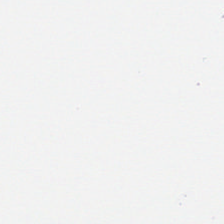Hematoxylin-and-eosin stained section — Empty field — background (no tissue).
